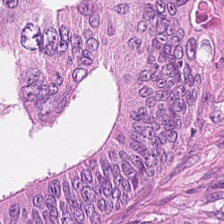H&E.
Tissue type: malignant epithelium.
